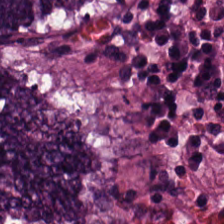Hematoxylin-and-eosin stained section. Q: What tissue is shown?
A: Adenocarcinoma.
